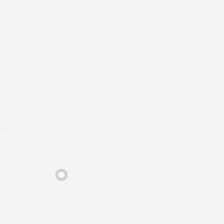224×224 pixel tile. Hematoxylin and eosin.
Empty field — empty background.
